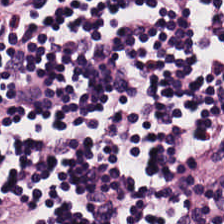Stain: H&E-stained tissue section.
Tissue type: lymphocytes.
